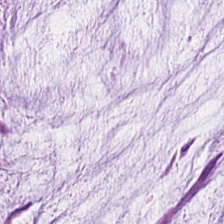Brightfield microscopy · hematoxylin-and-eosin stained section.
Mucin.
